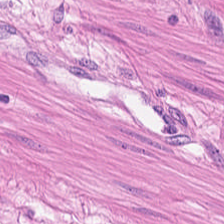Hematoxylin and eosin.
Showing muscularis.
